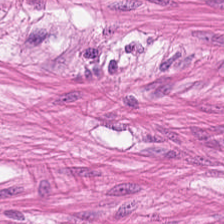Q: Identify the tissue.
A: The field shows smooth-muscle tissue.
